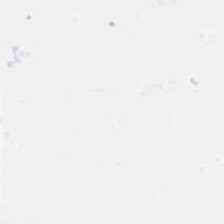FFPE tissue section; hematoxylin and eosin. Histology — empty background.
